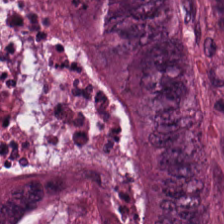Classification — colorectal adenocarcinoma epithelium.
